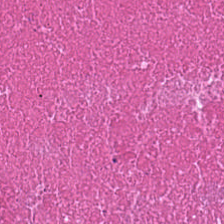Predominantly debris.
